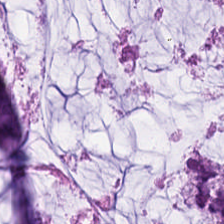H&E-stained tissue section — This field is mucin.
